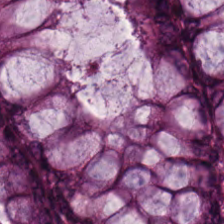Stain: hematoxylin-and-eosin stained section.
Resolution: 0.5 µm per pixel.
Predominant tissue: normal colon mucosa.
